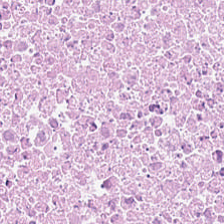H&E stain. Formalin-fixed paraffin-embedded section.
Histology → necrotic debris.
